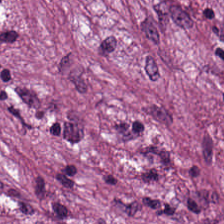224×224 pixel tile. Hematoxylin-and-eosin stained section.
Desmoplastic stroma.
